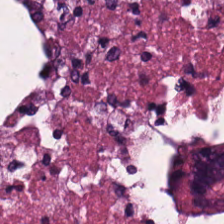Stain: H&E.
Resolution: 0.5 µm per pixel.
Tile size: 224×224 px tile.
Predominant tissue: debris.
